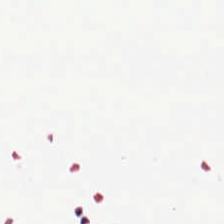H&E. Background (no tissue).
